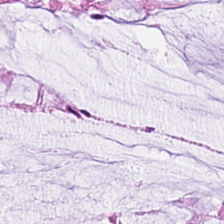H&E stain. Q: What type of tissue is this?
A: This is normal colonic mucosa.
